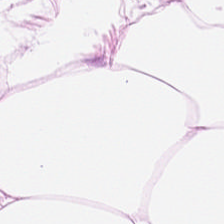This patch shows adipose.
